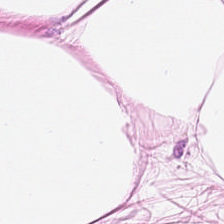224×224 px patch · hematoxylin-and-eosin stained section · FFPE tissue section. Predominant tissue — adipose tissue.
